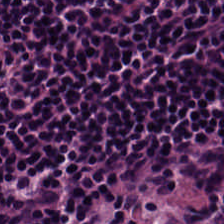Hematoxylin-and-eosin stained section. The predominant tissue is lymphocyte aggregate.
